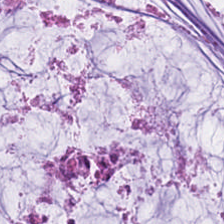H&E-stained tissue section · FFPE tissue section.
Q: What tissue type is shown here?
A: This is mucus.
